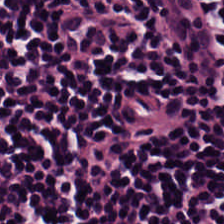H&E.
Finding — lymphocytes.
